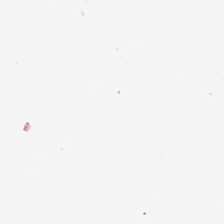This field is background (no tissue).
